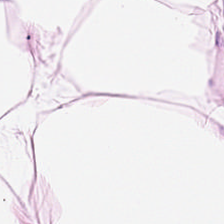FFPE; H&E; 0.5 microns per pixel.
{"tissue_type": "adipose"}
